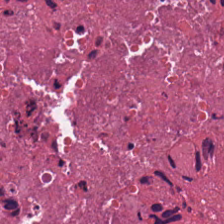H&E stain. The predominant tissue is cellular debris.
